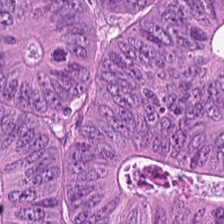H&E-stained tissue section.
Q: Classify this patch.
A: This is tumor epithelium.
